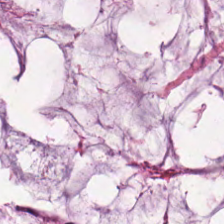H&E-stained tissue section · 0.5 µm per pixel. Finding → mucin.
